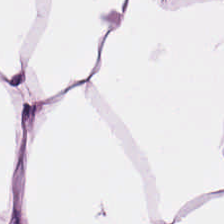Stain: H&E stain.
Resolution: 0.5 µm per pixel.
Predominant tissue: adipose.
